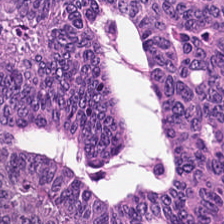224×224 pixel tile; formalin-fixed paraffin-embedded section; hematoxylin-and-eosin stained section — The tissue here is tumor epithelium.
